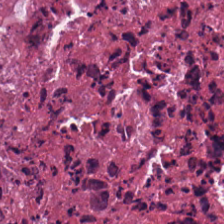H&E stain · 0.5 µm per pixel.
Tissue class: cellular debris.
